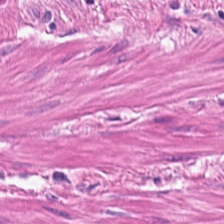Q: Identify the tissue.
A: This is smooth muscle.
